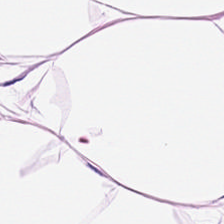Tissue — adipocytes.
